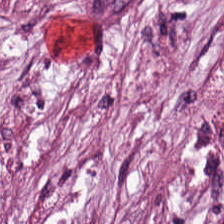Whole-slide-image patch. 0.5 µm/px. Hematoxylin-and-eosin stained section. Finding — tumor stroma.
